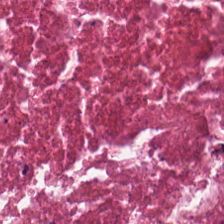Tissue = necrotic debris.
